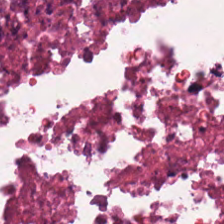Stain: hematoxylin and eosin.
Tile size: 224×224 px patch.
Preparation: FFPE tissue section.
Classification: debris.
